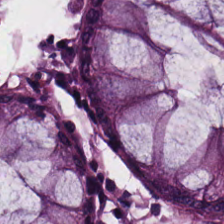Hematoxylin-and-eosin stained section — Q: What tissue is shown?
A: Non-neoplastic colon mucosa.
